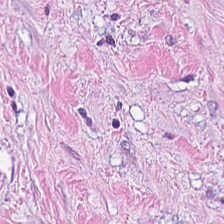Hematoxylin and eosin.
The tissue class is desmoplastic stroma.
